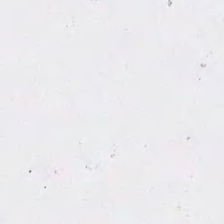Stain: hematoxylin-and-eosin stained section.
Field content: background (no tissue).
